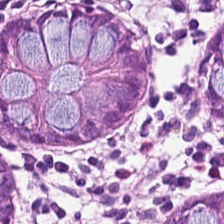Whole-slide-image patch. H&E-stained tissue section.
Tissue = normal colonic mucosa.
